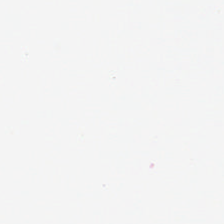Content — empty background.
